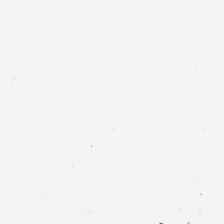H&E-stained tissue section. {"content": "background"}
